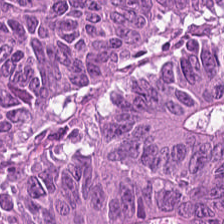Hematoxylin-and-eosin stained section; formalin-fixed paraffin-embedded section; 224×224 px patch. Predominant tissue — tumor epithelium.
